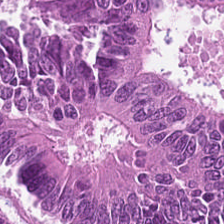Stain: H&E-stained tissue section.
Predominant tissue: colorectal adenocarcinoma.
